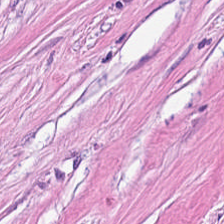H&E. Impression — tumor stroma.
